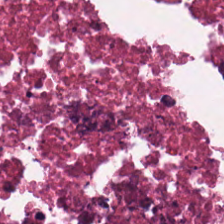Stain: H&E-stained tissue section.
Tile size: 224×224 px tile.
Acquisition: WSI patch.
Tissue: cellular debris.
